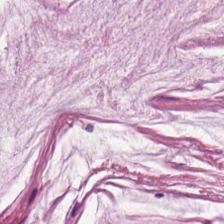Stain: hematoxylin-and-eosin stained section.
Tile size: 224×224 pixel tile.
Tissue: mucus.
